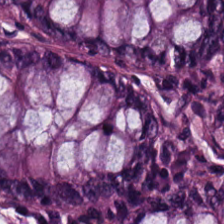H&E; 20× equivalent magnification. Non-neoplastic colon mucosa.
